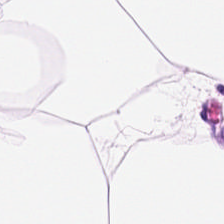224×224 px tile; hematoxylin and eosin.
This field is adipose tissue.
